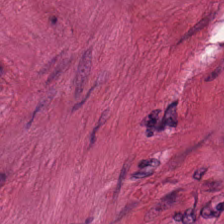H&E-stained tissue section. Finding → muscularis.
